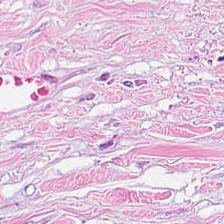This patch shows cancer-associated stroma.
